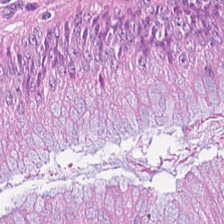Predominantly adenocarcinoma.
